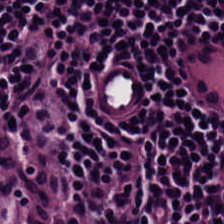H&E · 224×224 px patch. The predominant tissue is lymphoid infiltrate.
